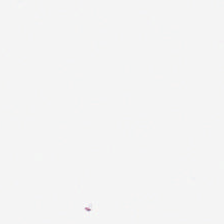Hematoxylin-and-eosin stained section.
Background (no tissue).
